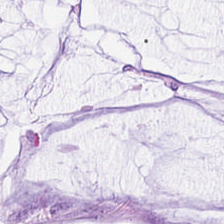H&E stain. Finding → mucus.
